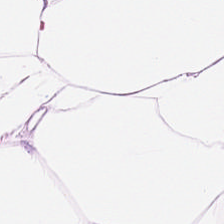H&E-stained tissue section — Tissue class = adipose.
